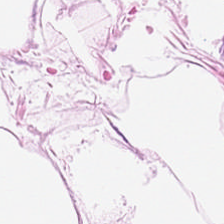H&E — Showing adipocytes.
